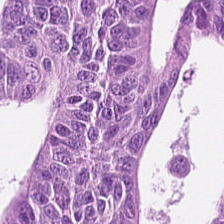The tissue is tumor epithelium.
